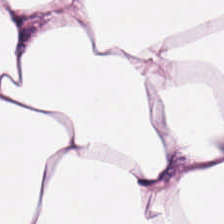H&E-stained tissue section. Histology — adipocytes.
